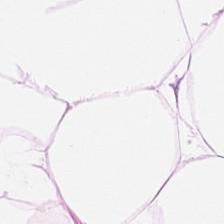Tissue class — fat tissue.
